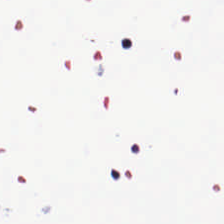Background (no tissue).
